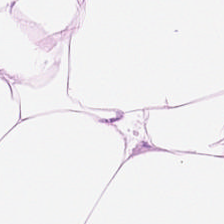WSI patch; H&E; 0.5 µm/px — This field is adipose tissue.
